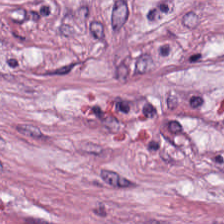H&E · 0.5 µm per pixel · whole-slide-image patch — Showing tumor-associated stroma.
